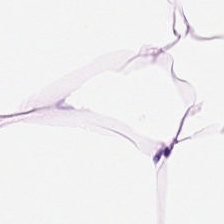H&E · 0.5 microns per pixel.
Showing adipose tissue.
